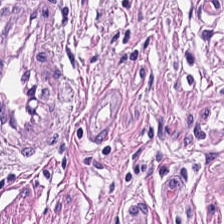H&E. Muscularis.
